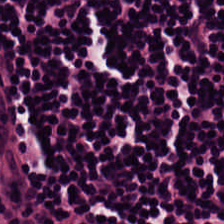{"tissue_type": "lymphocytic infiltrate"}
